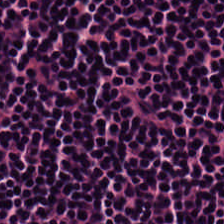224×224 pixel tile · hematoxylin and eosin — Impression — lymphocytic infiltrate.
